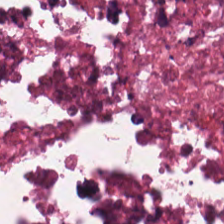Formalin-fixed paraffin-embedded section · 224×224 px tile · H&E — This field is cellular debris.
